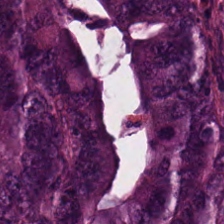Tissue type = malignant epithelium.
